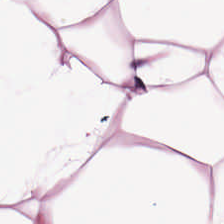H&E-stained tissue section. Predominant tissue: adipose.
